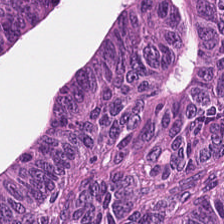Q: What is shown in this field?
A: The field shows malignant epithelium.
